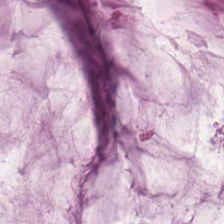FFPE · H&E stain — Tissue class: extracellular mucin.
